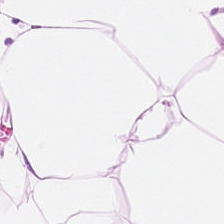Hematoxylin and eosin; 0.5 µm per pixel — This patch shows adipose tissue.
